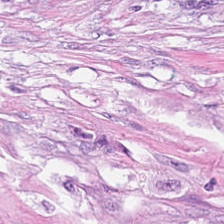H&E.
Tissue type — cancer-associated stroma.
